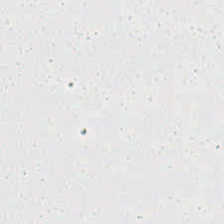Stain: hematoxylin and eosin.
Field content: empty background.
